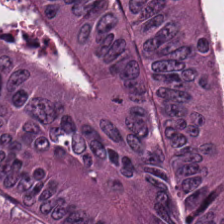Brightfield; hematoxylin-and-eosin stained section.
The predominant tissue is adenocarcinoma.
